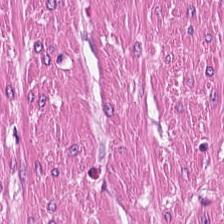Q: What is shown in this field?
A: It is smooth muscle.
